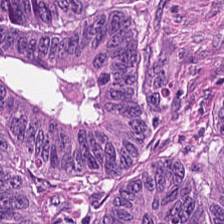Finding — malignant epithelium.
